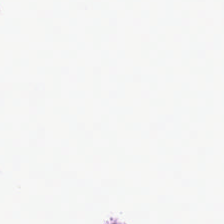Hematoxylin-and-eosin stained section — Q: What is shown in this field?
A: It is background.
